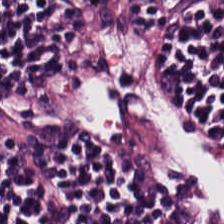H&E.
Predominant tissue = lymphocytes.
